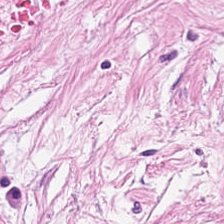Stain: hematoxylin-and-eosin stained section.
Tissue type: tumor-associated stroma.
